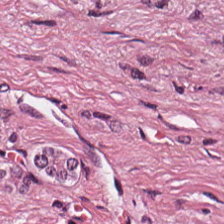FFPE · hematoxylin-and-eosin stained section · brightfield — The predominant tissue is tumor-associated stroma.
